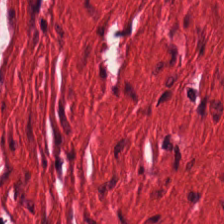Hematoxylin and eosin. Tissue = smooth-muscle tissue.
